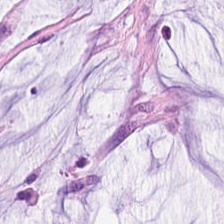224×224 px tile; H&E stain. The predominant tissue is mucus.
